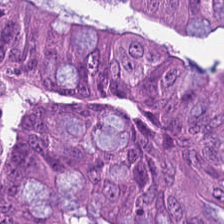FFPE; 224×224 px patch; H&E — {"tissue_type": "colorectal adenocarcinoma epithelium"}
